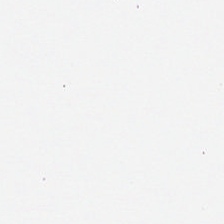H&E-stained tissue section — Classification — background (no tissue).
